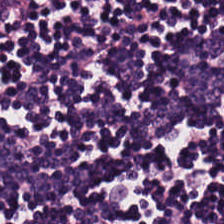Finding → lymphocyte aggregate.
